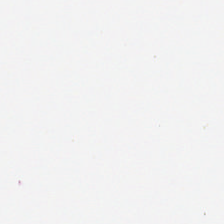Classification: background.
